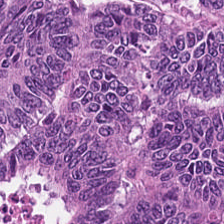Hematoxylin-and-eosin stained section. FFPE — {"tissue_type": "malignant epithelium"}
